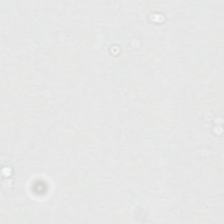H&E. 20× equivalent magnification. 224×224 px tile — This field is background (no tissue).
